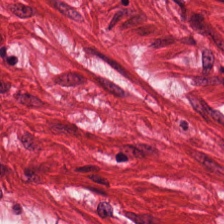Hematoxylin-and-eosin stained section.
Tissue = smooth muscle.
